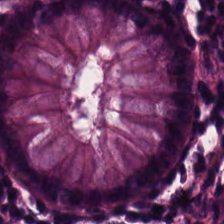Hematoxylin and eosin. This patch shows normal colonic mucosa.
